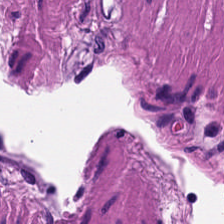H&E.
Tissue = smooth muscle.
